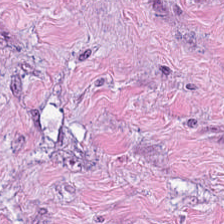Predominant tissue — tumor-associated stroma.
